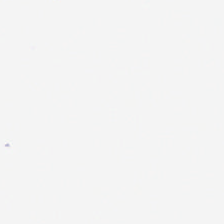Stain: hematoxylin and eosin.
Classification: empty background.
